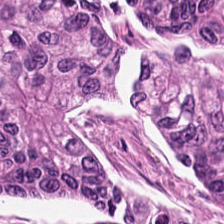Stain: hematoxylin and eosin.
Tissue type: tumor epithelium.
